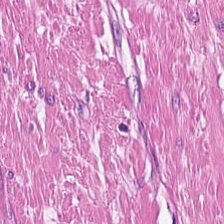224×224 pixel tile. H&E stain. Histology — smooth muscle.
